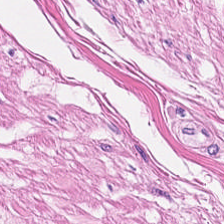H&E-stained tissue section.
This patch shows smooth-muscle tissue.
